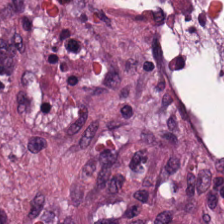Hematoxylin-and-eosin stained section; 0.5 µm/px — Desmoplastic stroma.
